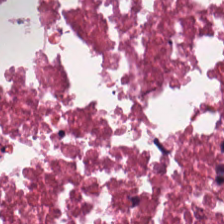Tissue = cellular debris.
